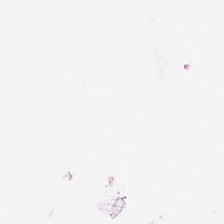Finding → background.
